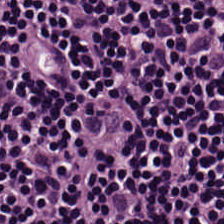Hematoxylin-and-eosin stained section.
{"tissue_type": "lymphocytes"}
